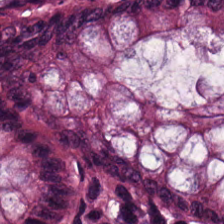This patch shows benign colonic mucosa.
